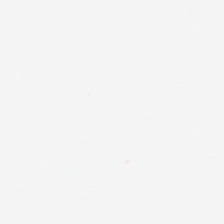The classification is empty background.
